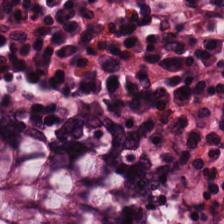Predominant tissue: non-neoplastic colon mucosa.
